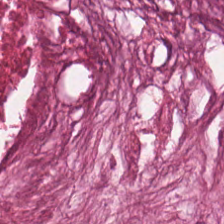0.5 µm/px · H&E. Q: What type of tissue is this?
A: Debris.
